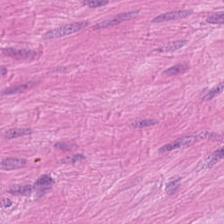Stain: H&E-stained tissue section.
Resolution: 0.5 µm/px.
Tissue: muscularis.
